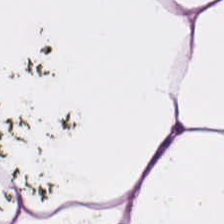Classification = fat tissue.
